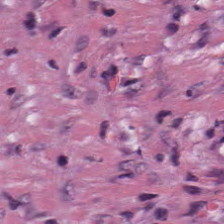Hematoxylin and eosin.
Showing desmoplastic stroma.
